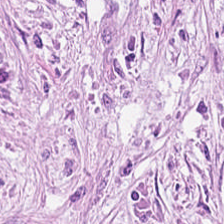H&E · 224×224 px patch. Tumor-associated stroma.
